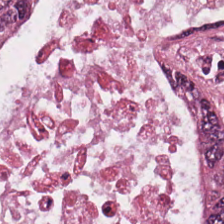H&E-stained tissue section · 0.5 µm/px. Showing tumor epithelium.
